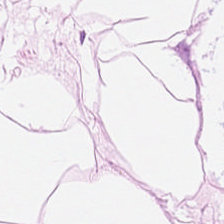H&E stain. {"tissue_type": "adipose"}
